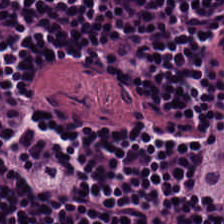This patch shows lymphoid infiltrate.
